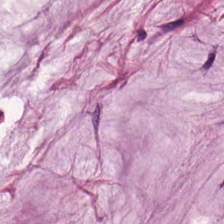The tissue is extracellular mucin.
